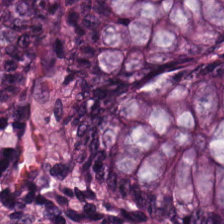Stain: hematoxylin and eosin.
Tile size: 224×224 px patch.
Resolution: 0.5 µm per pixel.
Classification: benign colonic mucosa.
